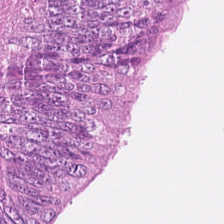H&E stain — Q: What tissue is shown?
A: This is colorectal adenocarcinoma epithelium.
